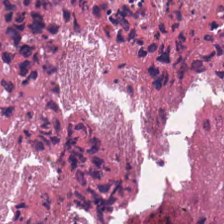Brightfield microscopy. 224×224 pixel tile. H&E stain.
The tissue is cellular debris.
